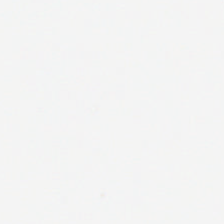Empty field — empty background.
